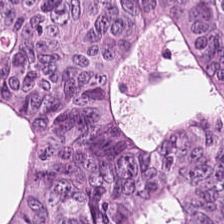WSI patch · 0.5 µm/px · hematoxylin-and-eosin stained section — Predominantly adenocarcinoma.
